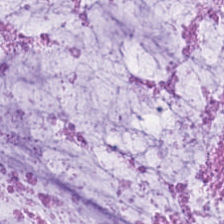H&E patch showing mucus.
